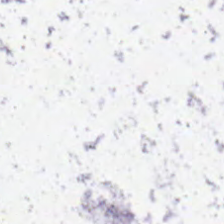Stain: hematoxylin-and-eosin stained section.
Field content: background (no tissue).
